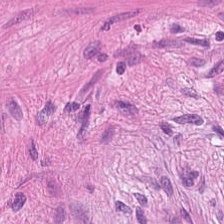H&E · 224×224 pixel tile.
Showing smooth muscle.
